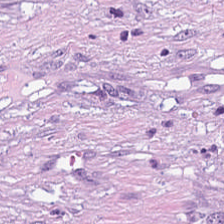H&E stain; 0.5 µm/px.
Tissue class: cancer-associated stroma.
